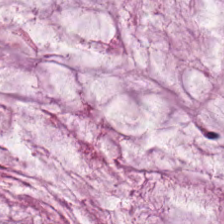Hematoxylin-and-eosin stained section.
This field is extracellular mucin.
